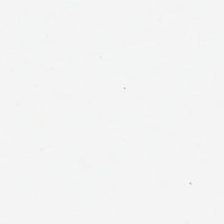H&E stain; 20× equivalent magnification.
Q: What is shown here?
A: This is background.
